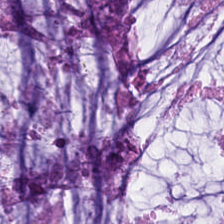0.5 µm/px; H&E stain; whole-slide-image patch.
Histology → extracellular mucin.
